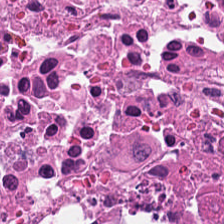H&E-stained tissue section — The predominant tissue is debris.
